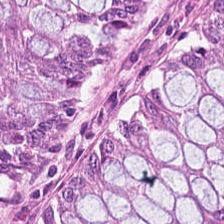Showing non-neoplastic colon mucosa.
